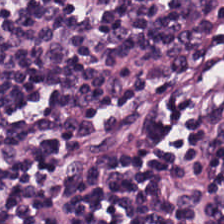Q: What tissue type is shown here?
A: This is lymphocytic infiltrate.
